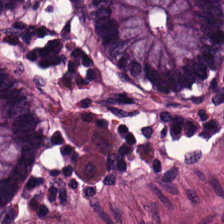Brightfield microscopy. Hematoxylin-and-eosin stained section. 0.5 microns per pixel — The classification is benign colonic mucosa.
